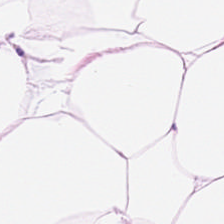H&E — Q: What is shown in this field?
A: The field shows fat tissue.
